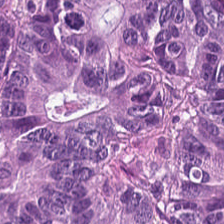H&E · 0.5 µm per pixel — Tissue class — colorectal adenocarcinoma epithelium.
